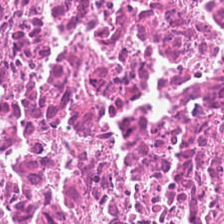H&E stain — The tissue here is cellular debris.
